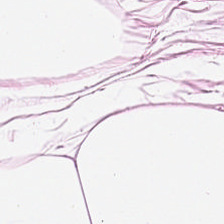Stain: H&E-stained tissue section.
Tissue class: adipose tissue.
